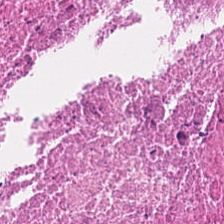Formalin-fixed paraffin-embedded section · H&E-stained tissue section. Impression → debris.
